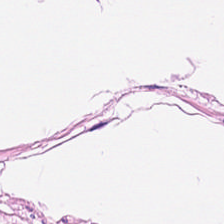H&E stain · 0.5 µm/px · brightfield.
Tissue type = smooth muscle.
